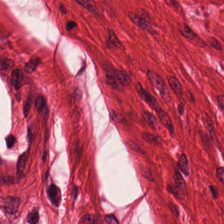Stain: hematoxylin and eosin.
Tissue type: smooth muscle.
